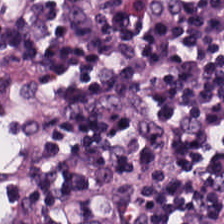This field is lymphoid infiltrate.
